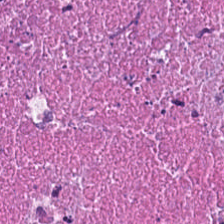0.5 µm per pixel · H&E-stained tissue section — The tissue class is debris.
